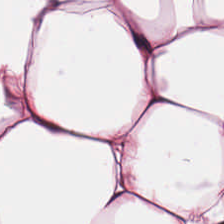224×224 px tile · H&E — Impression → adipose tissue.
